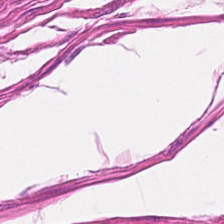Finding — muscularis.
